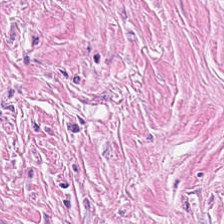FFPE tissue section; H&E stain. Predominantly tumor stroma.
